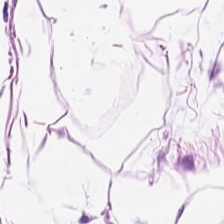Stain: hematoxylin-and-eosin stained section.
Acquisition: brightfield.
Tissue type: adipose.
